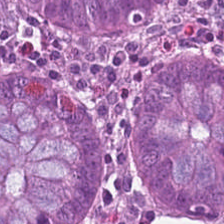This patch shows normal colon mucosa.
